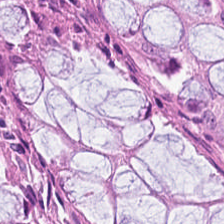H&E stain · FFPE tissue section — {"tissue_type": "normal colonic mucosa"}
